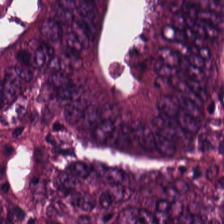Tissue class: colorectal adenocarcinoma epithelium.
